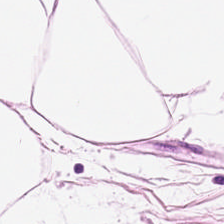224×224 px patch; whole-slide-image patch; H&E.
Q: What type of tissue is this?
A: The field shows adipose.
